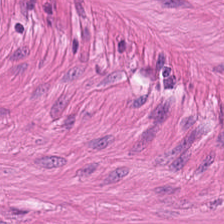Stain: hematoxylin and eosin.
Tissue class: smooth muscle.
